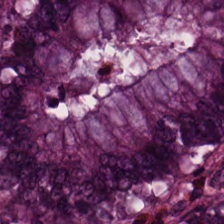H&E-stained tissue section. Impression → non-neoplastic colon mucosa.
